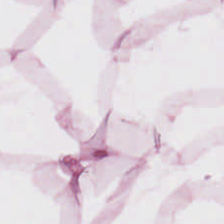H&E.
This patch shows adipose.
